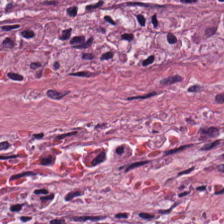20× equivalent magnification; H&E stain; 224×224 pixel tile.
Predominantly tumor stroma.
